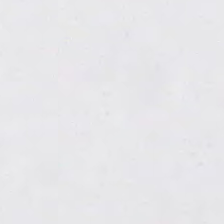The field content is background (no tissue).
